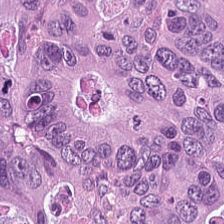Stain: H&E.
Tissue class: adenocarcinoma.
